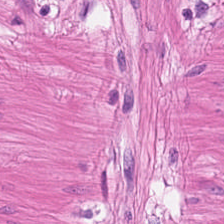Hematoxylin-and-eosin stained section — Q: Identify the tissue.
A: The field shows smooth muscle.
